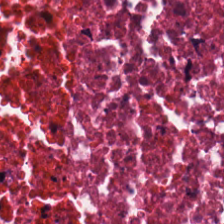H&E stain. The tissue type is necrotic debris.
